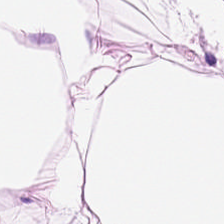{"tissue_type": "adipose tissue"}
